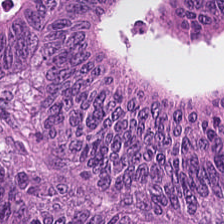Stain: H&E-stained tissue section.
Tile size: 224×224 pixel tile.
Classification: adenocarcinoma.
